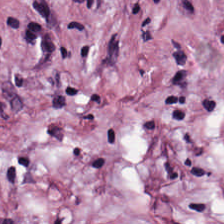Hematoxylin-and-eosin stained section; brightfield.
This patch shows desmoplastic stroma.
